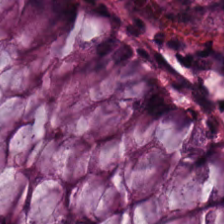H&E stain.
Impression — normal colon mucosa.
